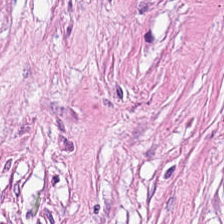The predominant tissue is tumor stroma.
